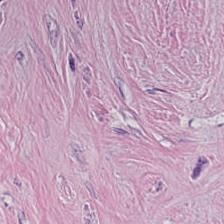Brightfield microscopy · H&E-stained tissue section. The predominant tissue is tumor stroma.
